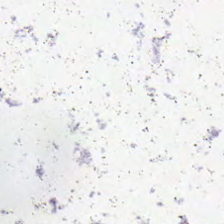H&E. Q: Classify this patch.
A: The field shows no tissue.
